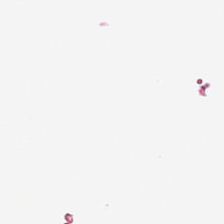224×224 px patch; hematoxylin-and-eosin stained section; WSI patch. This patch shows background.
